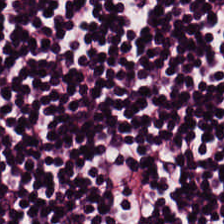H&E.
The predominant tissue is lymphocytic infiltrate.
